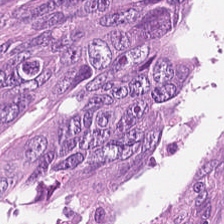Hematoxylin-and-eosin stained section — The predominant tissue is adenocarcinoma.
